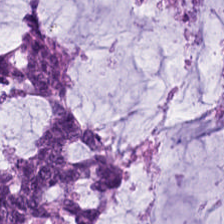Hematoxylin-and-eosin stained section.
This patch shows extracellular mucin.
